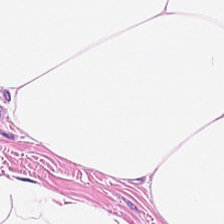H&E-stained tissue section — Predominantly adipocytes.
